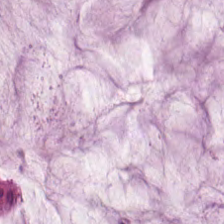H&E; WSI patch — Tissue class: mucus.
